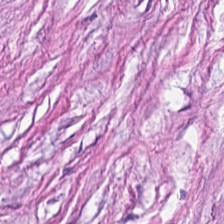FFPE · H&E stain.
The tissue here is desmoplastic stroma.
